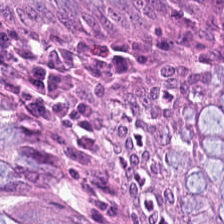The predominant tissue is non-neoplastic colon mucosa.
